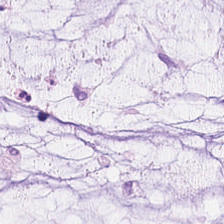Classification — mucus.
